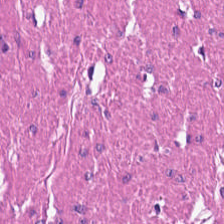Smooth-muscle tissue.
